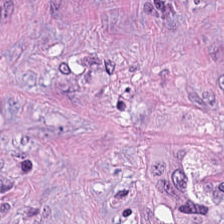H&E-stained tissue section — Finding → desmoplastic stroma.
